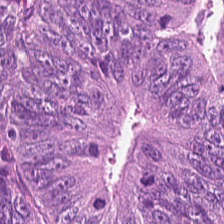224×224 px patch. H&E-stained tissue section. 0.5 microns per pixel — The predominant tissue is colorectal adenocarcinoma epithelium.
